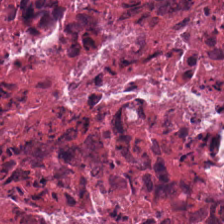Whole-slide-image patch · hematoxylin-and-eosin stained section · 224×224 px patch — The tissue type is debris.
